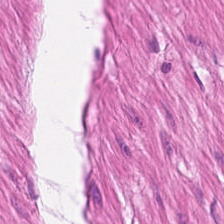H&E stain. Finding — smooth-muscle tissue.
